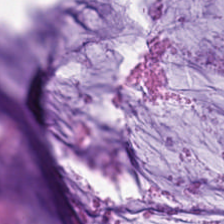Hematoxylin-and-eosin stained section.
The tissue is extracellular mucin.
